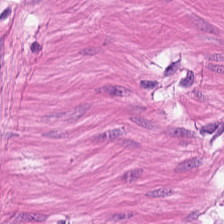H&E-stained tissue section · brightfield. Finding — muscularis.
